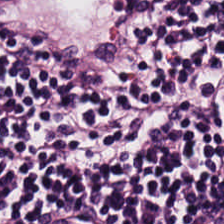Hematoxylin-and-eosin stained section — Finding — lymphocyte aggregate.
